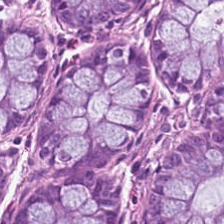Q: What is shown here?
A: The field shows non-neoplastic colon mucosa.
